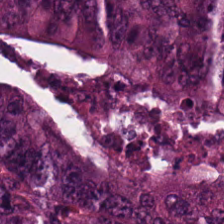H&E-stained tissue section. The tissue here is malignant epithelium.
